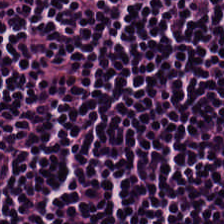Hematoxylin and eosin — Tissue type: lymphocytes.
